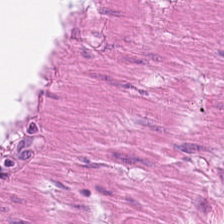Stain: hematoxylin and eosin.
Acquisition: brightfield microscopy.
Tissue: smooth muscle.
